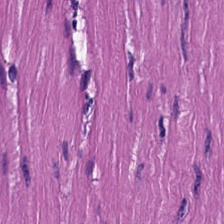Hematoxylin and eosin.
Classification — muscularis.
